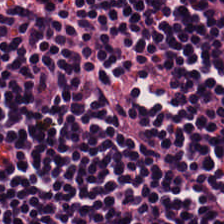Tissue class = lymphocyte aggregate.
